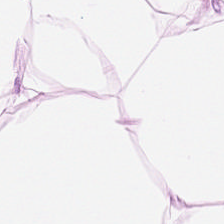Q: What tissue type is shown here?
A: Adipose.
